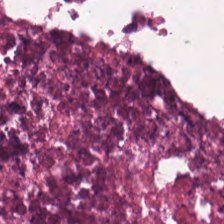FFPE tissue section · H&E stain · 0.5 microns per pixel.
The tissue here is necrotic debris.
